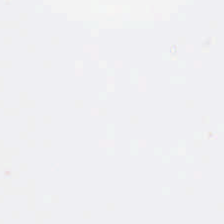Hematoxylin-and-eosin stained section.
No tissue present; background only.
